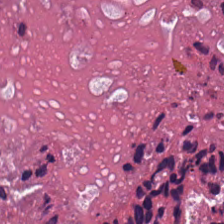H&E stain. FFPE. 224×224 px tile.
Q: What tissue is shown?
A: This is debris.
